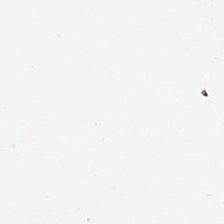H&E stain — Background — no tissue in this field.
